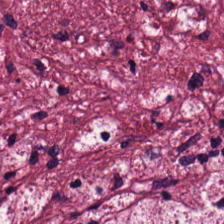Hematoxylin-and-eosin stained section · whole-slide-image patch · 224×224 pixel tile — Tumor-associated stroma.
